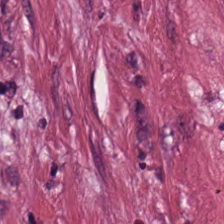Formalin-fixed paraffin-embedded section · H&E-stained tissue section — This patch shows tumor stroma.
